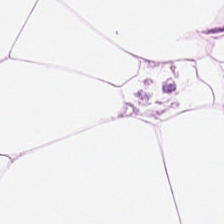224×224 px tile · H&E — Q: Identify the tissue.
A: This is adipose tissue.
